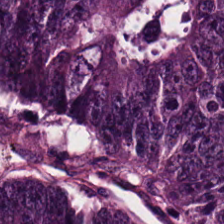H&E stain — Finding → malignant epithelium.
